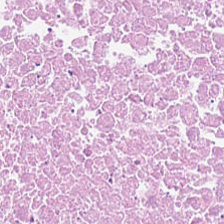Hematoxylin and eosin. 20× equivalent magnification. Debris.
